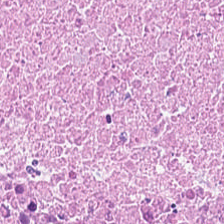H&E-stained tissue section.
Q: Classify this patch.
A: Necrotic debris.
